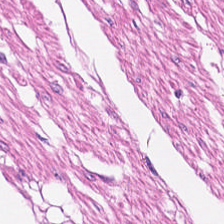H&E — Impression → smooth-muscle tissue.
